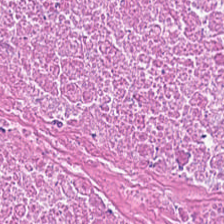Brightfield microscopy; H&E-stained tissue section. Q: What is shown in this field?
A: The field shows debris.
